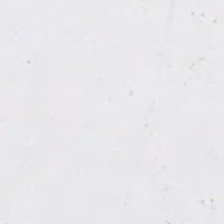H&E-stained tissue section · brightfield. Field content: no tissue.
